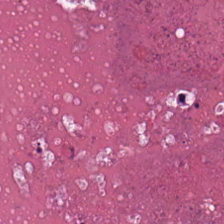H&E — necrotic debris.
